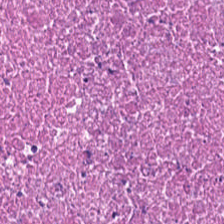20× equivalent magnification · H&E — The predominant tissue is cellular debris.
